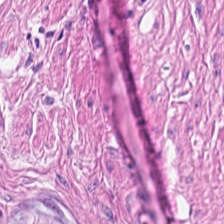H&E-stained tissue section. Tissue class — smooth muscle.
